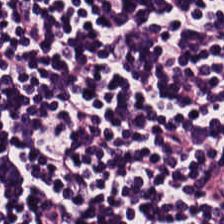Classification — lymphocyte aggregate.
